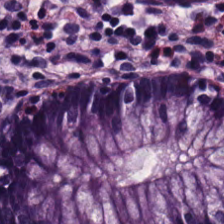Hematoxylin-and-eosin stained section. Q: Classify this patch.
A: Non-neoplastic colon mucosa.
